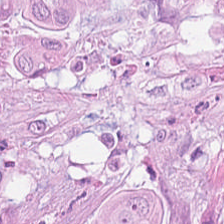224×224 px tile; hematoxylin-and-eosin stained section.
The classification is malignant epithelium.
